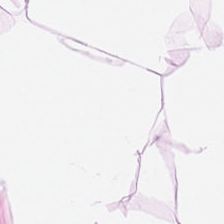Q: What is shown here?
A: The field shows adipose.
